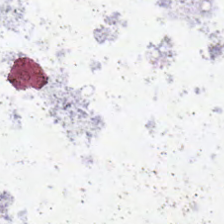224×224 pixel tile. Hematoxylin-and-eosin stained section. 0.5 µm per pixel. {"content": "no tissue"}
